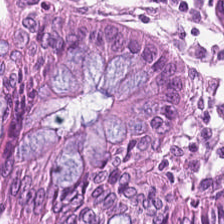The predominant tissue is normal colon mucosa.
